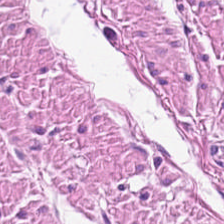H&E-stained tissue section.
Predominant tissue = muscularis.
